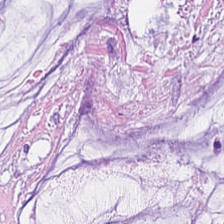Tissue type: mucin.
